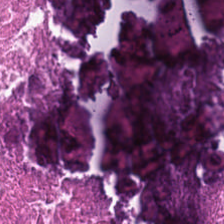Hematoxylin and eosin. The predominant tissue is debris.
